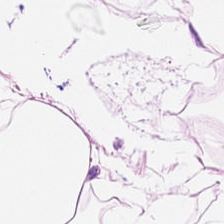{"tissue_type": "adipocytes"}
